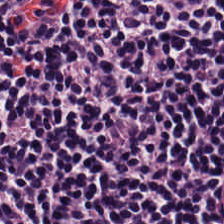20× equivalent magnification · H&E-stained tissue section — Predominant tissue — lymphoid infiltrate.
